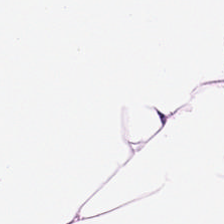H&E-stained tissue section.
Predominant tissue = adipose tissue.
